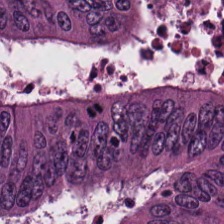H&E stain. Tissue class: colorectal adenocarcinoma epithelium.
